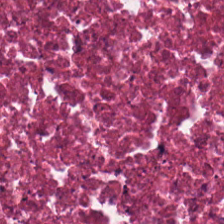Tissue = necrotic debris.
